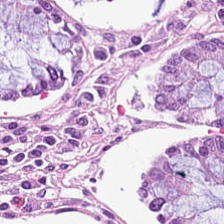0.5 µm per pixel · H&E-stained tissue section.
Classification — normal colonic mucosa.
